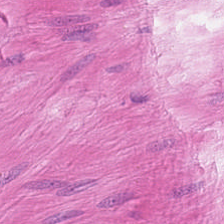H&E-stained tissue section — The tissue type is smooth muscle.
